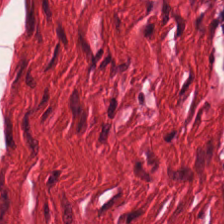Hematoxylin-and-eosin stained section — The tissue class is smooth muscle.
